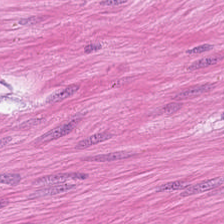Q: What is shown in this field?
A: This is muscularis.
